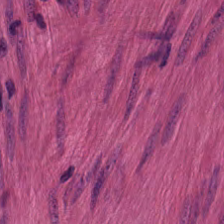H&E stain — Histology — smooth muscle.
